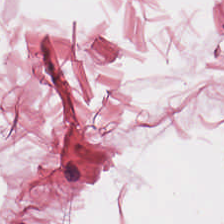0.5 µm/px; H&E-stained tissue section — The tissue is fat tissue.
